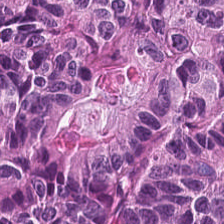224×224 pixel tile; brightfield; H&E-stained tissue section — Tumor epithelium.
